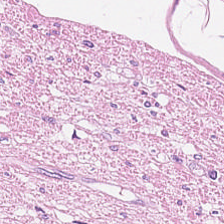FFPE. H&E-stained tissue section.
The predominant tissue is muscularis.
